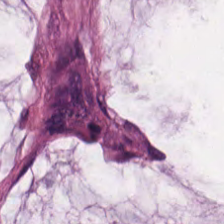Q: What tissue type is shown here?
A: This is extracellular mucin.
